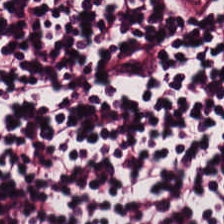224×224 px patch; H&E-stained tissue section; WSI patch.
Classification — lymphoid infiltrate.
